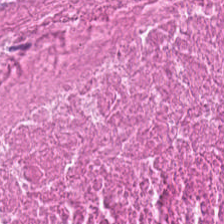Formalin-fixed paraffin-embedded section. 224×224 px patch. H&E — Debris.
